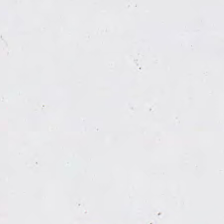H&E stain · 224×224 px tile — Histology — background (no tissue).
